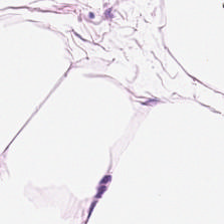224×224 px patch · H&E-stained tissue section. Q: Identify the tissue.
A: It is adipose tissue.
